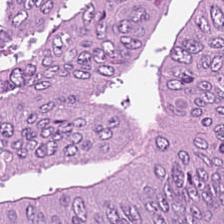Q: Classify this patch.
A: Colorectal adenocarcinoma.
